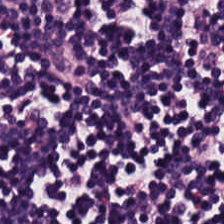Hematoxylin and eosin. 0.5 µm per pixel — The predominant tissue is lymphoid infiltrate.
